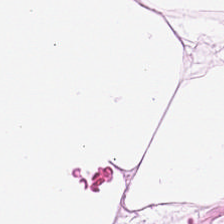224×224 px tile. H&E-stained tissue section. Tissue class: adipose.
